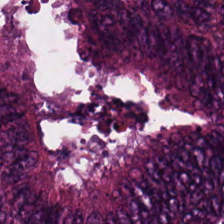This field is colorectal adenocarcinoma.
